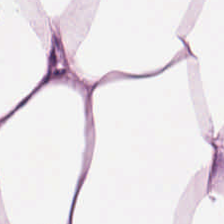H&E — Tissue type = adipose tissue.
